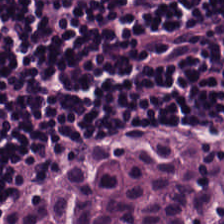Showing lymphocytes.
